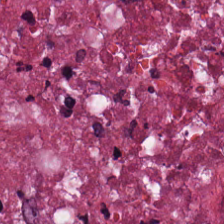H&E.
Tissue class: cellular debris.
